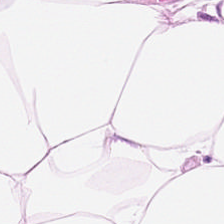224×224 px tile · H&E stain.
Impression — fat tissue.
